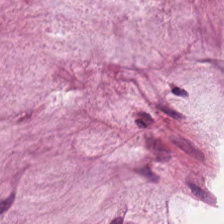H&E stain — Q: Identify the tissue.
A: It is mucus.
